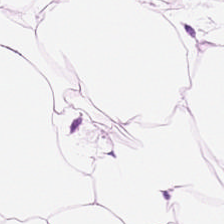Hematoxylin-and-eosin stained section.
This field is adipocytes.
